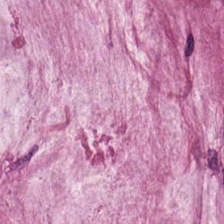20× equivalent magnification. H&E stain. FFPE.
The predominant tissue is mucin.
